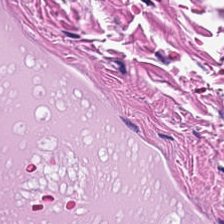FFPE tissue section · H&E stain.
Tissue type = smooth muscle.
